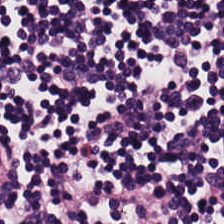H&E stain.
This patch shows lymphocyte aggregate.
